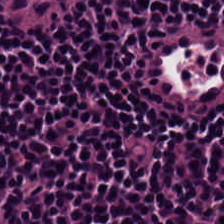H&E. 0.5 microns per pixel. Formalin-fixed paraffin-embedded section — Q: What tissue type is shown here?
A: It is lymphocyte aggregate.
